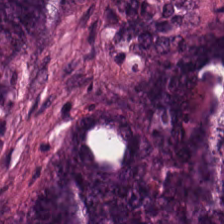Hematoxylin-and-eosin stained section. Showing tumor epithelium.
